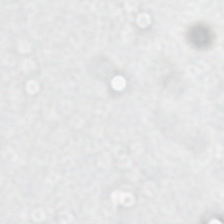H&E-stained tissue section.
Histology — background.
